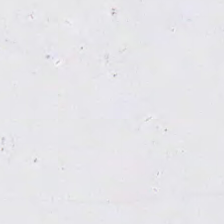Hematoxylin-and-eosin stained section. Empty background.
